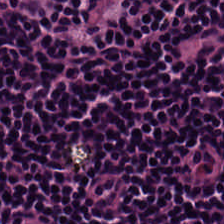Hematoxylin-and-eosin stained section.
Classification = lymphoid infiltrate.
